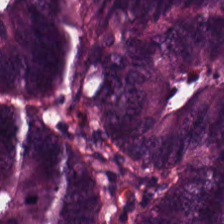Tissue class: adenocarcinoma.
